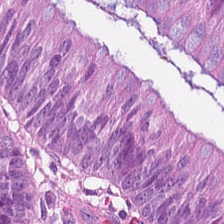Q: What is shown in this field?
A: This is colorectal adenocarcinoma epithelium.
